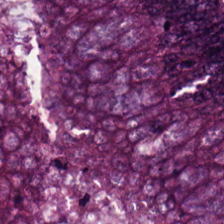Brightfield microscopy · H&E. This patch shows malignant epithelium.
